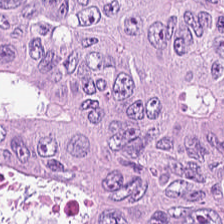Classification — adenocarcinoma.
